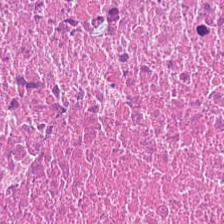H&E patch showing debris.
